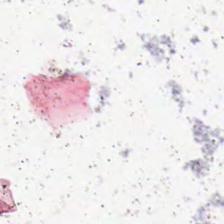Stain: H&E.
Resolution: 20× equivalent magnification.
Content: empty background.
